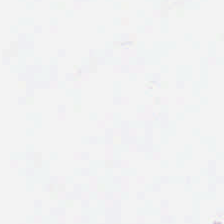H&E-stained tissue section. Whole-slide-image patch. 224×224 px tile — Q: Classify this patch.
A: Empty background.
